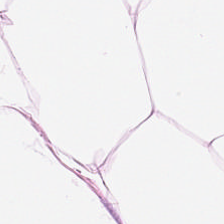Hematoxylin-and-eosin stained section. This field is adipose.
